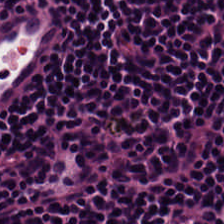224×224 px patch. Hematoxylin and eosin. Tissue = lymphocytic infiltrate.
